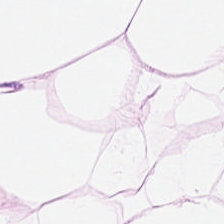Hematoxylin and eosin; 224×224 px tile.
{"tissue_type": "adipose tissue"}
